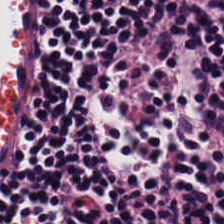Hematoxylin and eosin. Histology — lymphocytes.
